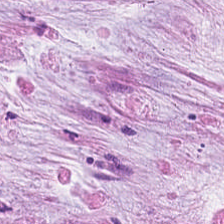Hematoxylin and eosin. Tissue class: mucin.
